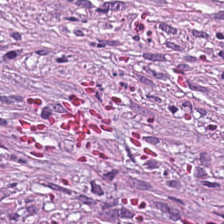Tumor stroma.
